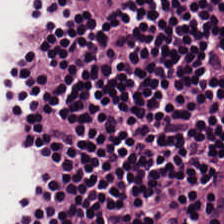Whole-slide-image patch · hematoxylin and eosin. Lymphocytes.
